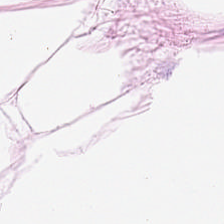H&E — Predominantly adipose tissue.
